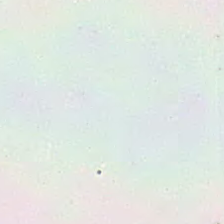H&E-stained tissue section. The field content is background (no tissue).
